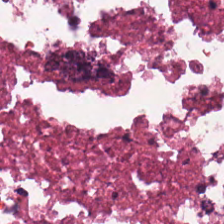Q: What is shown in this field?
A: This is necrotic debris.
